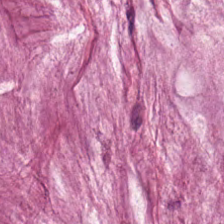Impression → mucus.
